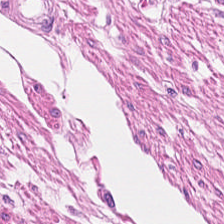H&E stain; formalin-fixed paraffin-embedded section — Q: Classify this patch.
A: This is smooth-muscle tissue.
